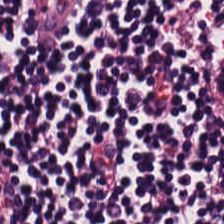Hematoxylin and eosin — Tissue: lymphocytic infiltrate.
